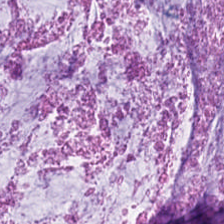H&E — Tissue class — mucus.
